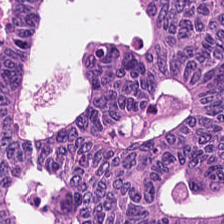Brightfield. H&E. 224×224 pixel tile.
Q: What type of tissue is this?
A: It is tumor epithelium.
